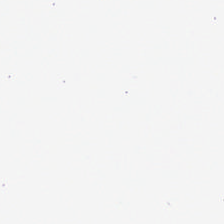224×224 pixel tile. H&E-stained tissue section. Content — no tissue.
